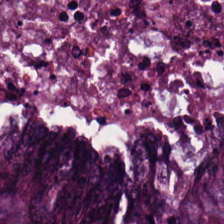FFPE. H&E stain.
{"tissue_type": "colorectal adenocarcinoma"}
